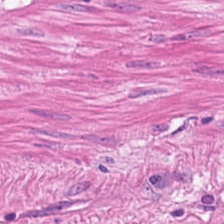224×224 pixel tile · hematoxylin-and-eosin stained section — Tissue class: smooth muscle.
